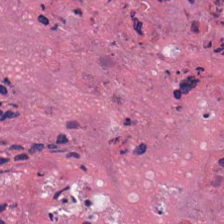Brightfield; H&E stain.
Histology — debris.
